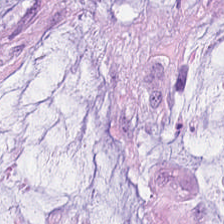The tissue class is extracellular mucin.
